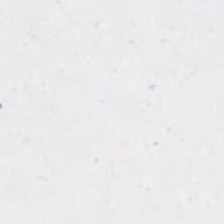Hematoxylin and eosin · 224×224 px patch — Q: What is shown in this field?
A: This is background.
